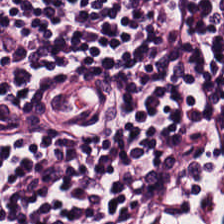H&E. The classification is lymphocytic infiltrate.
